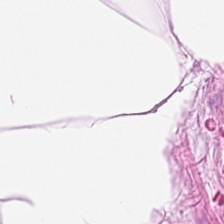H&E-stained tissue section. Whole-slide-image patch. Q: Identify the tissue.
A: The field shows fat tissue.
